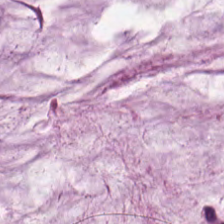Hematoxylin and eosin. Whole-slide-image patch. FFPE tissue section.
Q: Identify the tissue.
A: This is mucin.
